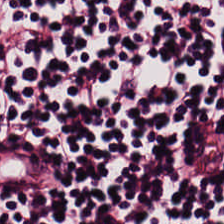FFPE tissue section. H&E stain. 0.5 µm/px. Lymphocyte aggregate.
